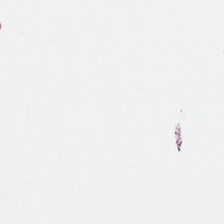224×224 px patch. H&E — Histology — background (no tissue).
